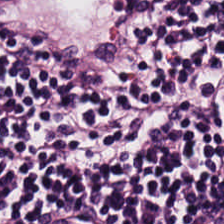The predominant tissue is lymphoid infiltrate.
